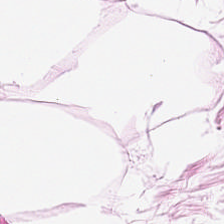Tissue: adipocytes.
